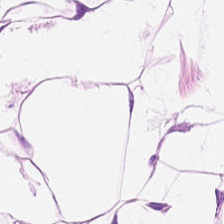Stain: hematoxylin and eosin.
Classification: adipose.
